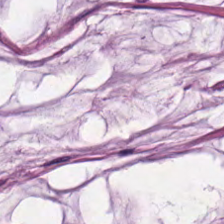H&E stain · formalin-fixed paraffin-embedded section · 224×224 px patch — {"tissue_type": "mucin"}
